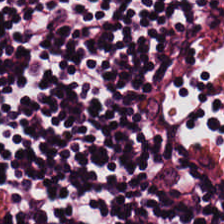Hematoxylin and eosin — Lymphocytic infiltrate.
